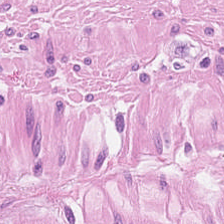Q: What is shown in this field?
A: This is smooth muscle.
